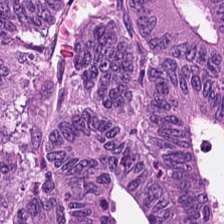Hematoxylin-and-eosin stained section · FFPE · 224×224 px patch — {"tissue_type": "adenocarcinoma"}
